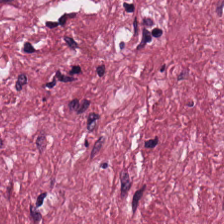H&E-stained tissue section.
Q: What tissue is shown?
A: The field shows cancer-associated stroma.
